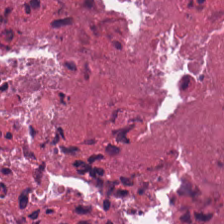Hematoxylin-and-eosin stained section.
{"tissue_type": "cellular debris"}
